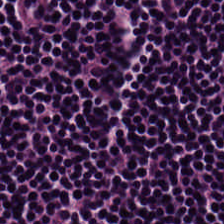Predominant tissue: lymphocyte aggregate.
